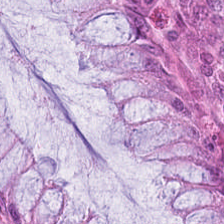H&E. Tissue type = benign colonic mucosa.
